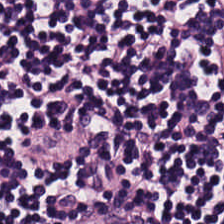Stain: H&E-stained tissue section.
Preparation: FFPE.
Tissue type: lymphoid infiltrate.
